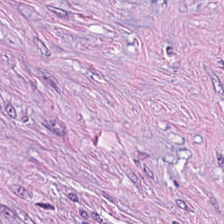H&E-stained tissue section.
Q: What is shown here?
A: The field shows tumor stroma.
